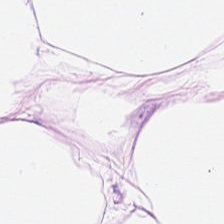FFPE tissue section · 0.5 µm/px · H&E.
{"tissue_type": "adipose"}
